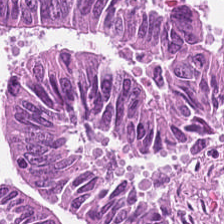This field is colorectal adenocarcinoma.
